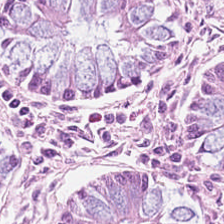Hematoxylin and eosin. Predominant tissue — non-neoplastic colon mucosa.
